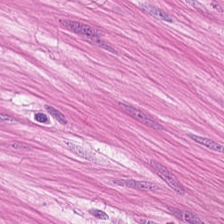Hematoxylin-and-eosin stained section. 224×224 px patch.
Classification — smooth muscle.
